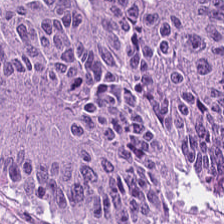Classification: colorectal adenocarcinoma epithelium.
